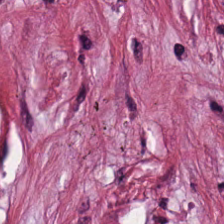Whole-slide-image patch. H&E.
Finding — cancer-associated stroma.
